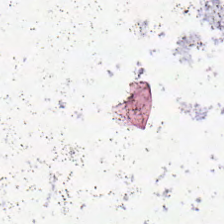H&E.
Background — no tissue in this field.
